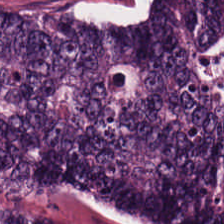H&E-stained tissue section. FFPE. This field is malignant epithelium.
